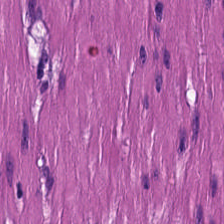Hematoxylin and eosin; brightfield. Impression → smooth muscle.
